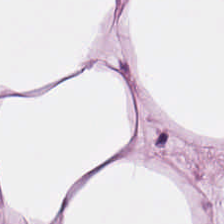FFPE tissue section; 224×224 px tile; hematoxylin and eosin.
The predominant tissue is adipose.
